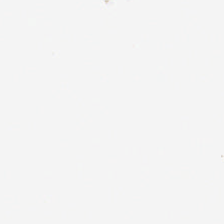Hematoxylin and eosin — This patch shows no tissue.
